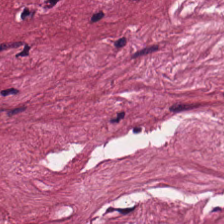Hematoxylin-and-eosin stained section.
Tissue class: desmoplastic stroma.
